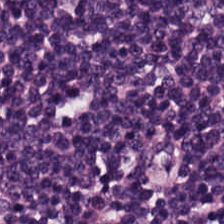H&E — lymphoid infiltrate.
